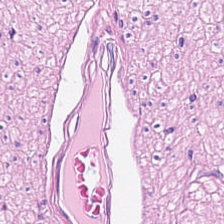Brightfield. H&E stain.
Classification = muscularis.
